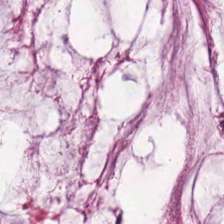Predominant tissue: extracellular mucin.
